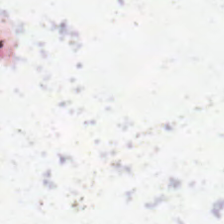H&E. 224×224 px patch. Content = empty background.
